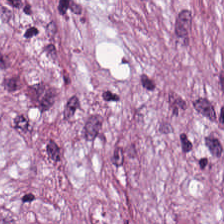224×224 px tile · brightfield microscopy · H&E — Q: What is shown in this field?
A: Desmoplastic stroma.
